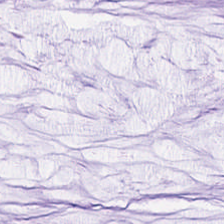Hematoxylin and eosin.
Q: Identify the tissue.
A: The field shows mucin.
